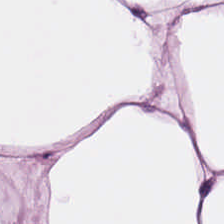FFPE tissue section. 224×224 px tile. H&E — This field is adipose.
